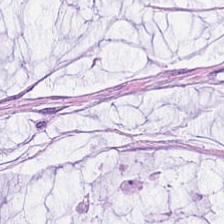H&E-stained tissue section — Q: Classify this patch.
A: Mucus.
